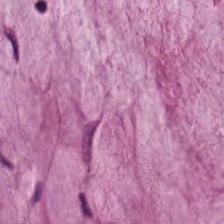H&E stain · brightfield · 224×224 px patch — Classification: mucin.
